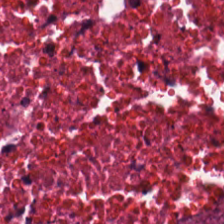The predominant tissue is cellular debris.
